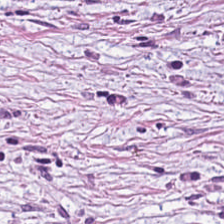Tissue type — tumor-associated stroma.
